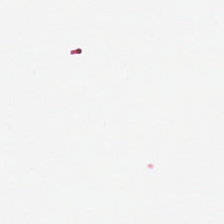This patch shows background.
